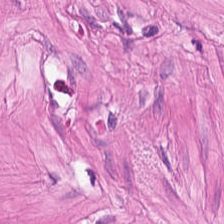H&E-stained tissue section. Histology → smooth muscle.
